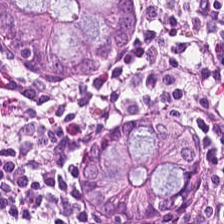Brightfield. Formalin-fixed paraffin-embedded section. Hematoxylin and eosin — Q: What is shown in this field?
A: The field shows normal colonic mucosa.
